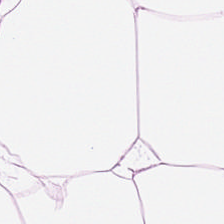Predominant tissue = adipose tissue.
